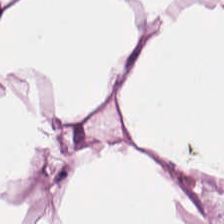0.5 microns per pixel; H&E stain.
Q: What type of tissue is this?
A: Adipocytes.
